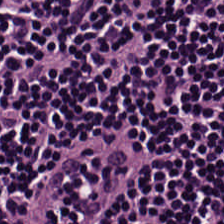H&E stain.
Finding → lymphocytes.
